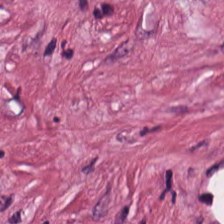Stain: hematoxylin and eosin.
Classification: cancer-associated stroma.
